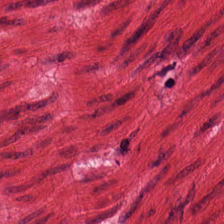224×224 pixel tile; hematoxylin and eosin; FFPE tissue section. This patch shows muscularis.
